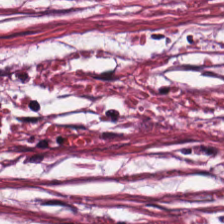Hematoxylin-and-eosin stained section.
Predominantly desmoplastic stroma.
